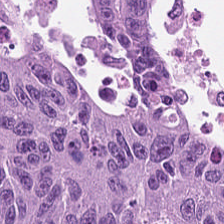Hematoxylin and eosin. Q: What tissue is shown?
A: Tumor epithelium.
